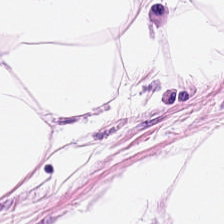The tissue is adipocytes.
